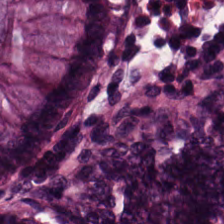Stain: H&E.
Tissue class: normal colonic mucosa.
